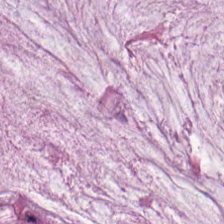H&E. Classification — mucus.
